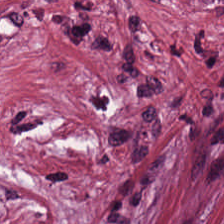Showing cancer-associated stroma.
